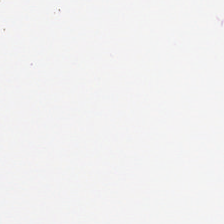FFPE tissue section · hematoxylin and eosin.
Classification: smooth muscle.
